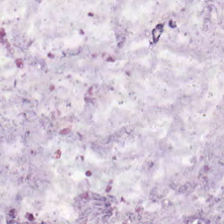Stain: hematoxylin-and-eosin stained section.
Resolution: 0.5 µm/px.
Predominant tissue: mucin.
